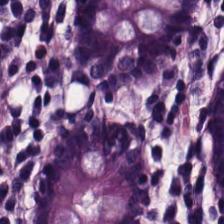0.5 µm/px · H&E-stained tissue section — Finding — benign colonic mucosa.
